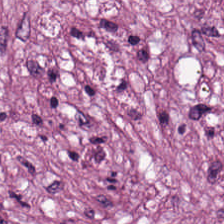WSI patch · H&E-stained tissue section · 0.5 µm/px — Q: What tissue type is shown here?
A: It is desmoplastic stroma.
